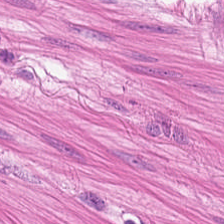Whole-slide-image patch; 224×224 px patch; hematoxylin and eosin.
Impression — smooth muscle.
